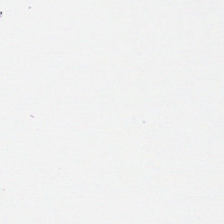Finding — background (no tissue).
